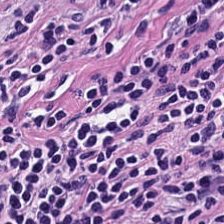H&E stain; brightfield microscopy — Q: Identify the tissue.
A: This is lymphoid infiltrate.
